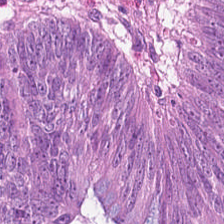H&E; 224×224 px patch — Showing colorectal adenocarcinoma epithelium.
